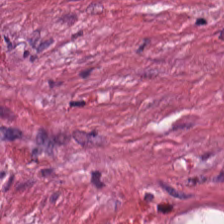H&E stain. 0.5 microns per pixel. The tissue class is cancer-associated stroma.
